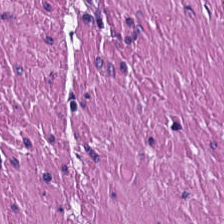Tissue: muscularis.
